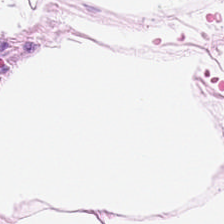Finding → adipose tissue.
